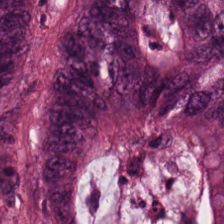Finding — malignant epithelium.
